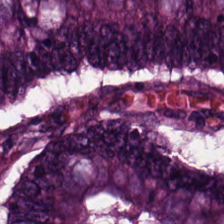224×224 px tile · FFPE tissue section · hematoxylin and eosin — Showing colorectal adenocarcinoma.
